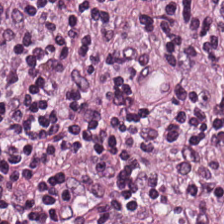H&E-stained tissue section. Histology → lymphocyte aggregate.
